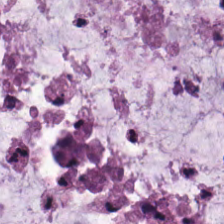Stain: hematoxylin and eosin.
Tissue: mucin.
